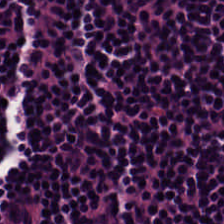Hematoxylin and eosin; 224×224 px patch.
Impression — lymphoid infiltrate.
